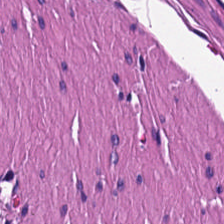Hematoxylin and eosin.
This field is smooth muscle.
